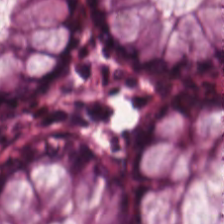Predominant tissue = non-neoplastic colon mucosa.
